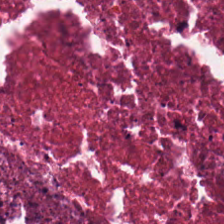Q: Identify the tissue.
A: It is cellular debris.
